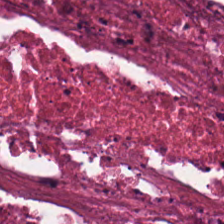Stain: H&E-stained tissue section.
Tile size: 224×224 px tile.
Tissue class: debris.
